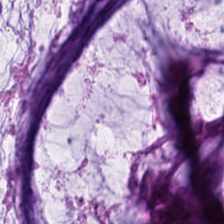224×224 pixel tile · 20× equivalent magnification · hematoxylin-and-eosin stained section.
Mucin.
